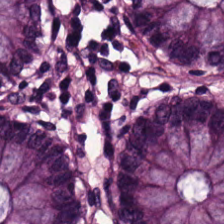H&E-stained tissue section. FFPE tissue section. 224×224 px tile.
Tissue class — non-neoplastic colon mucosa.
